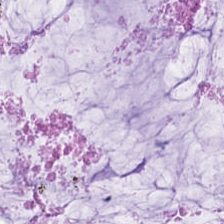H&E stain.
This patch shows mucus.
